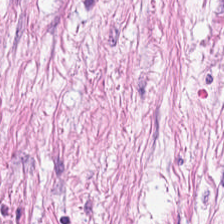Brightfield; H&E-stained tissue section; 0.5 µm/px — Histology → tumor stroma.
